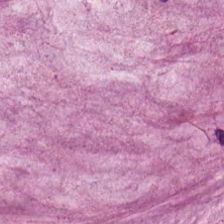Tissue class = mucus.
